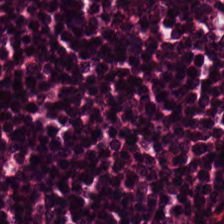Hematoxylin-and-eosin stained section.
Showing lymphocytes.
